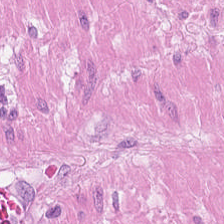H&E. {"tissue_type": "smooth-muscle tissue"}
